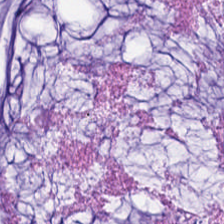H&E-stained tissue section; 224×224 pixel tile.
Tissue type = mucus.
